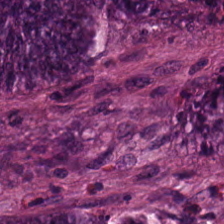Tissue type: adenocarcinoma.
